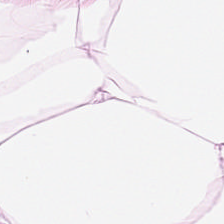H&E.
Histology — adipose.
